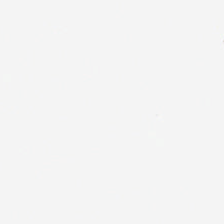{"content": "no tissue"}
